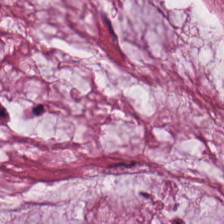Brightfield. Hematoxylin-and-eosin stained section. 224×224 px patch. Q: What is shown here?
A: It is mucin.
